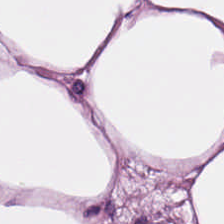Tissue class: fat tissue.
